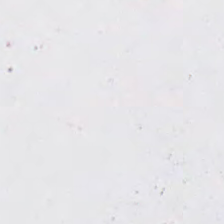Hematoxylin and eosin.
Empty field — empty background.
